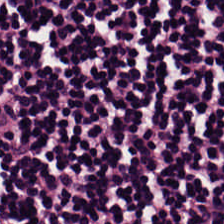H&E stain; 224×224 px patch.
The classification is lymphoid infiltrate.
